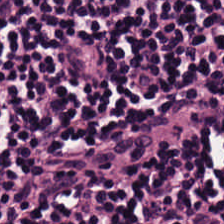H&E-stained tissue section.
Tissue: lymphocytes.
